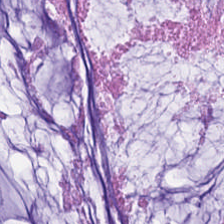Histology — mucin.
